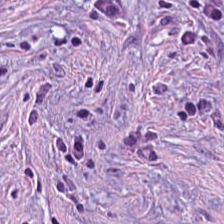Predominant tissue — cancer-associated stroma.
